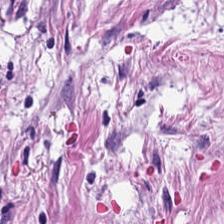H&E. Tissue = tumor stroma.
